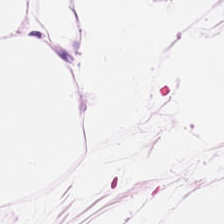FFPE tissue section; hematoxylin and eosin. This field is fat tissue.
